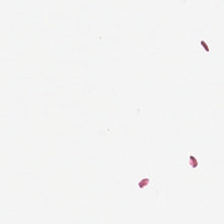H&E stain; brightfield. Classification: background.
